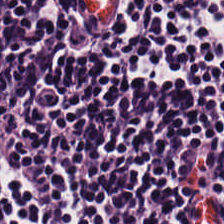Whole-slide-image patch; hematoxylin and eosin — Tissue: lymphocytic infiltrate.
